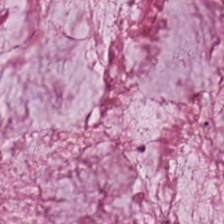224×224 px patch; hematoxylin-and-eosin stained section.
The tissue is mucus.
